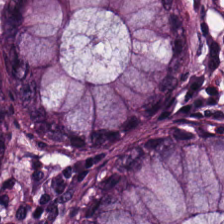H&E-stained tissue section · FFPE · 0.5 µm per pixel — Finding → normal colon mucosa.
